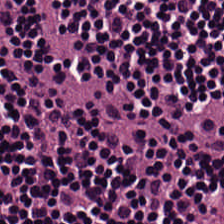Hematoxylin-and-eosin stained section — {"tissue_type": "lymphocyte aggregate"}
